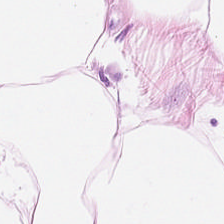Hematoxylin-and-eosin stained section · whole-slide-image patch — {"tissue_type": "adipose tissue"}
